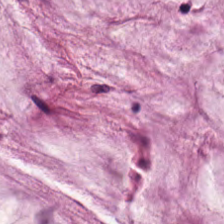Hematoxylin-and-eosin stained section — This patch shows mucus.
